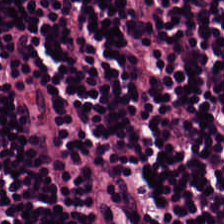Brightfield. H&E stain. FFPE tissue section — Lymphoid infiltrate.
